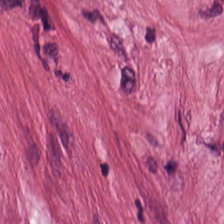H&E stain. Tissue class: desmoplastic stroma.
